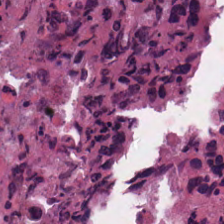H&E · 0.5 microns per pixel.
Showing necrotic debris.
